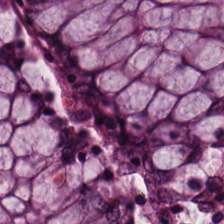FFPE tissue section · WSI patch · H&E-stained tissue section.
This field is normal colonic mucosa.
